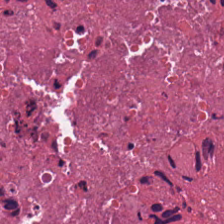H&E-stained tissue section — This patch shows debris.
